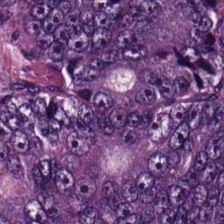Formalin-fixed paraffin-embedded section; hematoxylin-and-eosin stained section. The predominant tissue is malignant epithelium.
